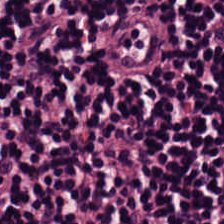H&E-stained tissue section. 224×224 px patch — This field is lymphocytes.
